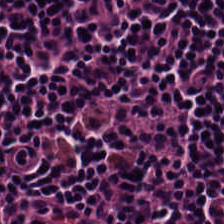WSI patch · H&E stain — This patch shows lymphocytic infiltrate.
